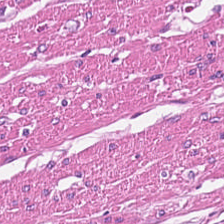H&E. 0.5 µm/px. This patch shows smooth muscle.
